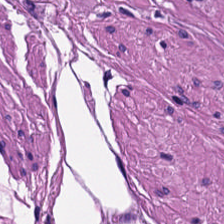FFPE tissue section. H&E stain. Brightfield.
This patch shows smooth-muscle tissue.
